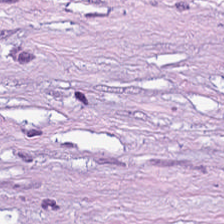Brightfield. Hematoxylin-and-eosin stained section.
This patch shows tumor stroma.
